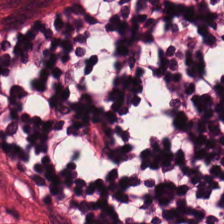Whole-slide-image patch · FFPE tissue section · H&E. {"tissue_type": "lymphoid infiltrate"}
